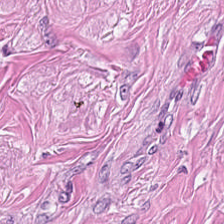H&E stain; brightfield — The tissue here is desmoplastic stroma.
